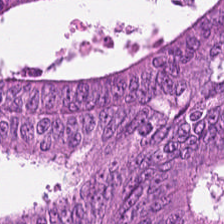FFPE tissue section. H&E-stained tissue section. 224×224 pixel tile. This field is adenocarcinoma.
